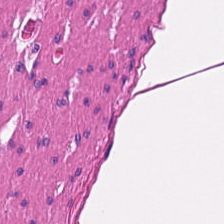H&E stain.
Histology — smooth muscle.
